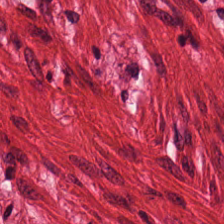H&E stain.
Impression → muscularis.
